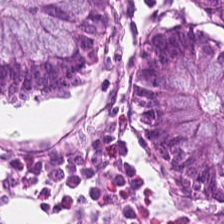Tissue class — benign colonic mucosa.
